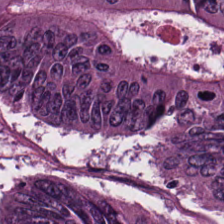The tissue here is malignant epithelium.
